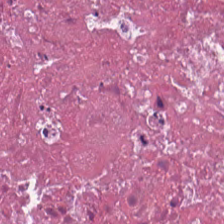Debris.
